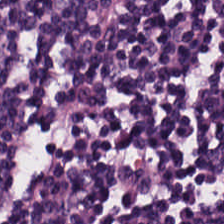224×224 px tile · WSI patch · H&E stain. Showing lymphoid infiltrate.
